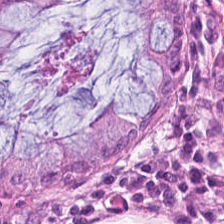Classification — normal colonic mucosa.
